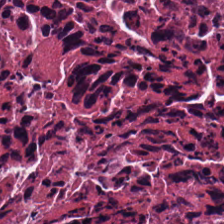H&E — Classification — cellular debris.
